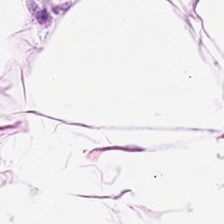Finding → adipocytes.
